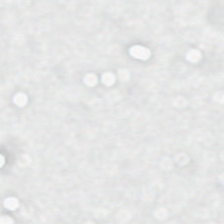H&E-stained tissue section. Classification = empty background.
